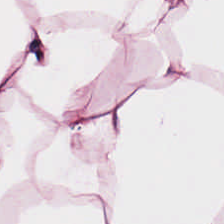224×224 px tile; H&E stain — Showing adipocytes.
